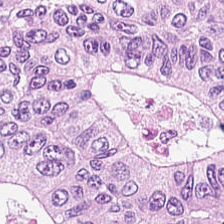H&E-stained tissue section · FFPE · 20× equivalent magnification. Finding → tumor epithelium.
